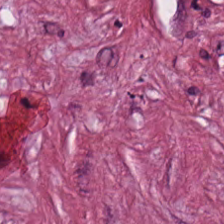0.5 microns per pixel. H&E. FFPE tissue section. Q: What type of tissue is this?
A: The field shows desmoplastic stroma.
